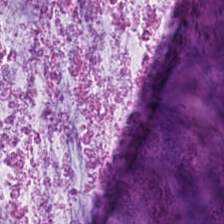0.5 µm per pixel · hematoxylin and eosin.
This patch shows extracellular mucin.
